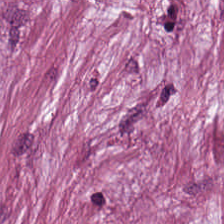0.5 microns per pixel; H&E.
Tumor-associated stroma.
